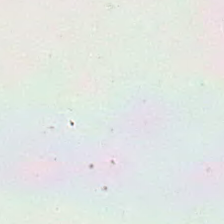0.5 µm/px · hematoxylin-and-eosin stained section.
Empty field — empty background.
